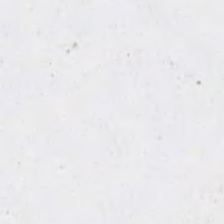0.5 microns per pixel. Hematoxylin and eosin. FFPE.
{"content": "no tissue"}
